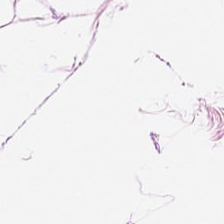0.5 µm/px · WSI patch · hematoxylin and eosin.
Classification — adipose.
